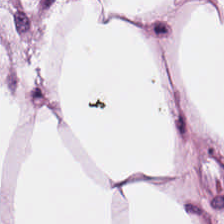Tissue type: adipose.
